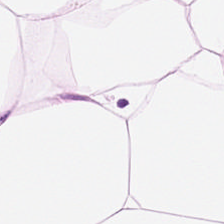Tissue type = adipose.
